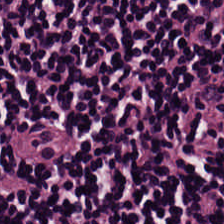Hematoxylin and eosin. Brightfield. 224×224 px patch.
Tissue class: lymphoid infiltrate.
